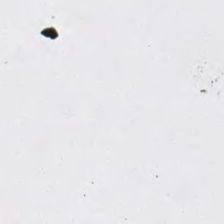Hematoxylin and eosin.
Content — background.
